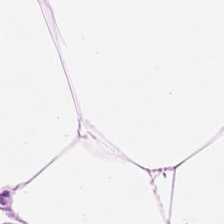Tissue = adipose.
